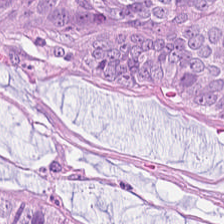H&E-stained tissue section. Tissue = malignant epithelium.
